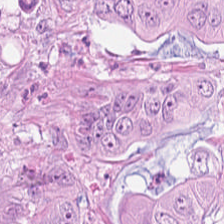Stain: H&E-stained tissue section.
Classification: tumor epithelium.
